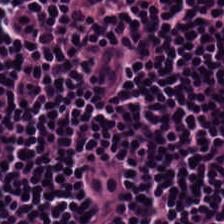This field is lymphocyte aggregate.
